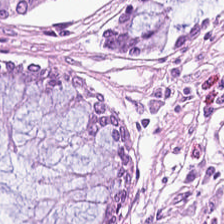H&E stain.
Showing benign colonic mucosa.
